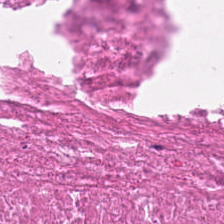FFPE; 224×224 px tile; hematoxylin-and-eosin stained section — Q: Identify the tissue.
A: It is debris.
